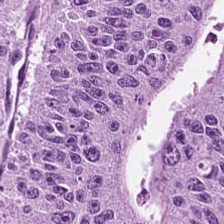{"tissue_type": "adenocarcinoma"}
